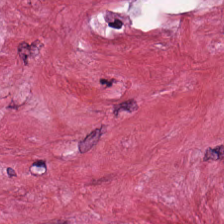Stain: H&E stain.
Tissue: cancer-associated stroma.
